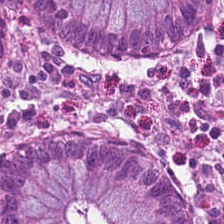Hematoxylin-and-eosin stained section — This patch shows normal colonic mucosa.
